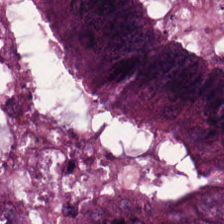0.5 microns per pixel · whole-slide-image patch · H&E. The tissue here is colorectal adenocarcinoma epithelium.
